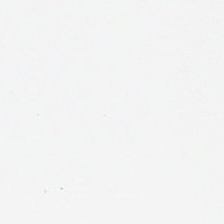Q: What is shown here?
A: It is empty background.
